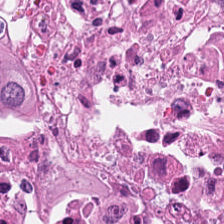H&E. Classification: cellular debris.
